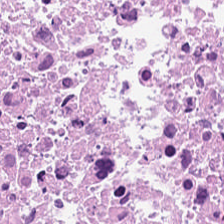H&E · 224×224 px tile. This field is necrotic debris.
